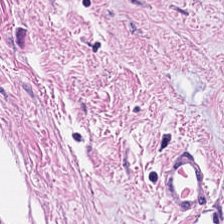Brightfield microscopy; H&E-stained tissue section — Predominant tissue: smooth muscle.
